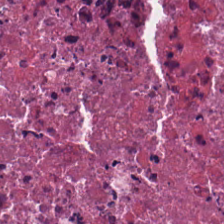FFPE · H&E-stained tissue section · 0.5 µm/px. The tissue is debris.
